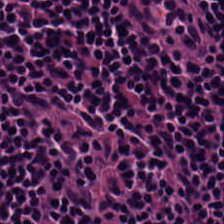The predominant tissue is lymphocytes.
